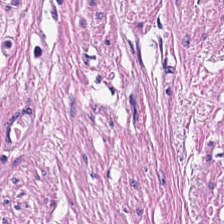0.5 µm per pixel; H&E. This patch shows smooth-muscle tissue.
